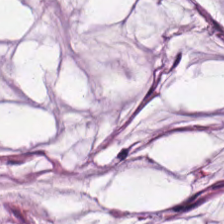H&E stain · FFPE tissue section.
This field is mucin.
